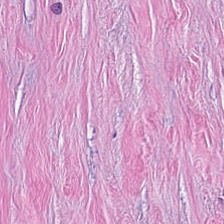Hematoxylin-and-eosin stained section. Classification = cancer-associated stroma.
